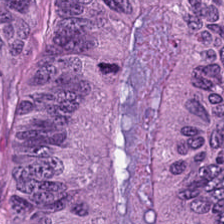WSI patch; hematoxylin-and-eosin stained section.
Tissue = colorectal adenocarcinoma epithelium.
